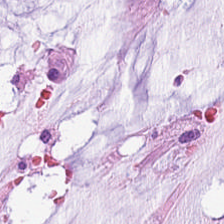Stain: hematoxylin-and-eosin stained section.
Classification: mucus.
